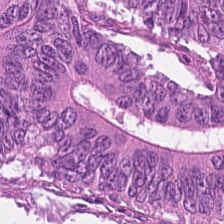Tissue type = tumor epithelium.
